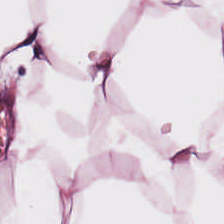Hematoxylin and eosin.
Tissue = adipose tissue.
